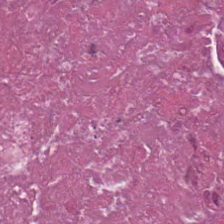Tissue class: cellular debris.
